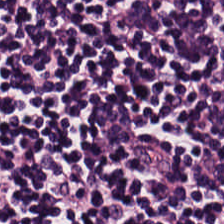Stain: H&E.
Predominant tissue: lymphocyte aggregate.
